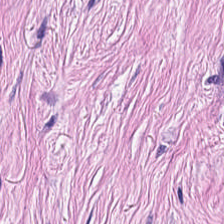Tissue class — desmoplastic stroma.
